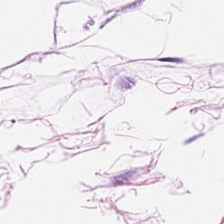The tissue type is adipose tissue.
